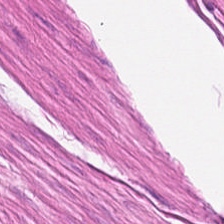H&E stain; 0.5 µm/px. Q: Classify this patch.
A: It is smooth muscle.
